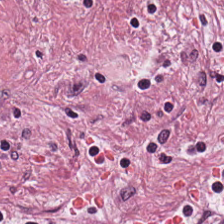Hematoxylin and eosin — Q: What is the predominant tissue type?
A: This is desmoplastic stroma.
